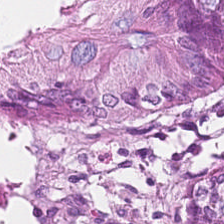20× equivalent magnification. Hematoxylin-and-eosin stained section — Q: What is the predominant tissue type?
A: Benign colonic mucosa.
